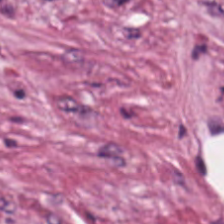Q: Classify this patch.
A: This is tumor-associated stroma.
